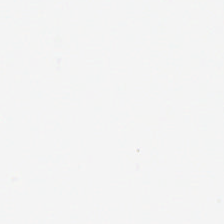Stain: hematoxylin-and-eosin stained section.
Content: background (no tissue).
